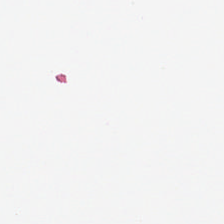FFPE tissue section. Hematoxylin and eosin. This patch shows background.
